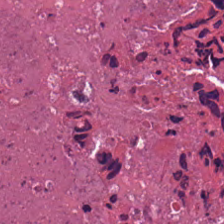H&E-stained tissue section. {"tissue_type": "debris"}
